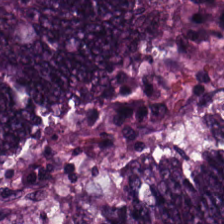Stain: H&E-stained tissue section.
Acquisition: brightfield.
Tile size: 224×224 px patch.
Predominant tissue: malignant epithelium.
